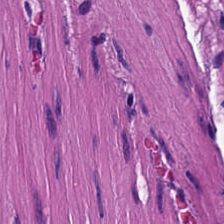Hematoxylin-and-eosin stained section.
Predominantly smooth muscle.
